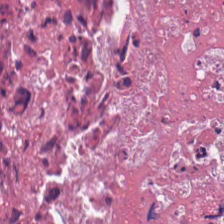Hematoxylin and eosin.
Tissue type: cellular debris.
